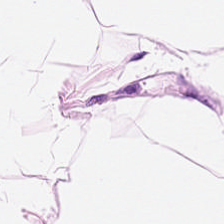Brightfield microscopy. Hematoxylin and eosin. Showing fat tissue.
